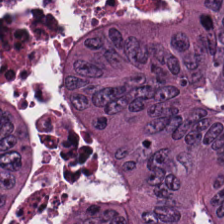Formalin-fixed paraffin-embedded section; hematoxylin and eosin — Classification — colorectal adenocarcinoma.
